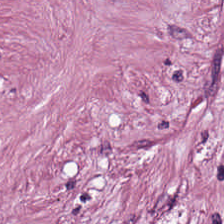Stain: H&E-stained tissue section.
Classification: cancer-associated stroma.
